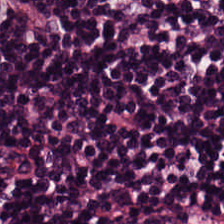Finding — lymphoid infiltrate.
